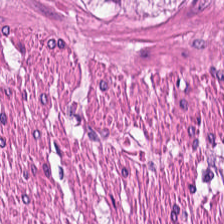H&E. Predominantly smooth muscle.
